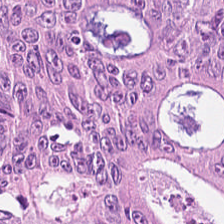Hematoxylin-and-eosin stained section. 0.5 µm per pixel. Whole-slide-image patch. Colorectal adenocarcinoma epithelium.
